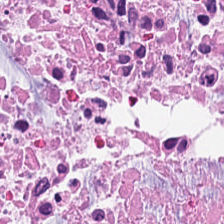Stain: hematoxylin and eosin.
Tissue: necrotic debris.
